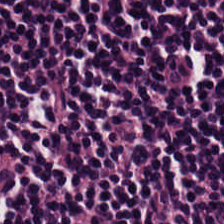H&E stain; brightfield microscopy.
Finding → lymphoid infiltrate.
